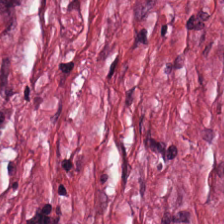Hematoxylin-and-eosin stained section.
The tissue is cancer-associated stroma.
